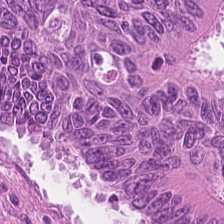Stain: H&E-stained tissue section.
Predominant tissue: tumor epithelium.
